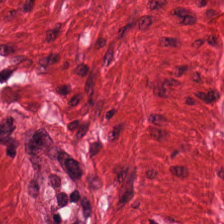Formalin-fixed paraffin-embedded section · H&E stain · 20× equivalent magnification — Histology — smooth-muscle tissue.
